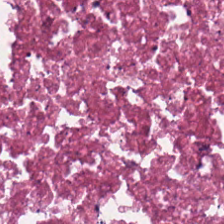Hematoxylin-and-eosin stained section — Showing debris.
